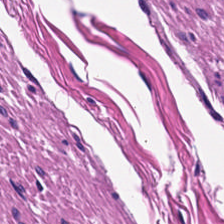H&E. 224×224 px tile — Histology — muscularis.
